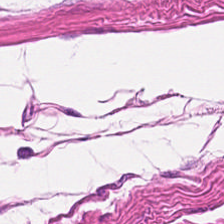H&E stain.
Tissue class — smooth-muscle tissue.
